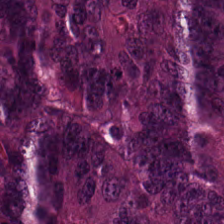Hematoxylin-and-eosin stained section · 0.5 µm/px — Finding → colorectal adenocarcinoma.
